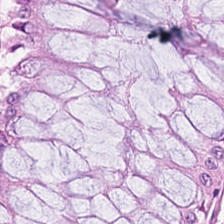Stain: hematoxylin and eosin.
Tissue: benign colonic mucosa.
